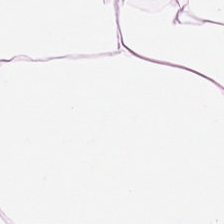{"tissue_type": "fat tissue"}
